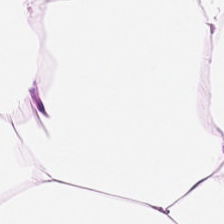Stain: H&E-stained tissue section.
Acquisition: WSI patch.
Predominant tissue: adipocytes.
